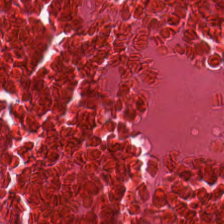20× equivalent magnification · WSI patch · H&E stain. Necrotic debris.
